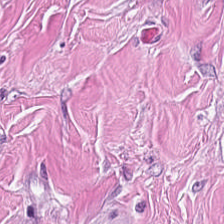WSI patch; H&E stain. Impression — desmoplastic stroma.
